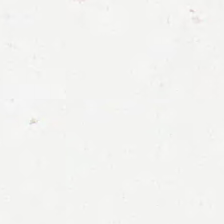H&E.
Empty background.
